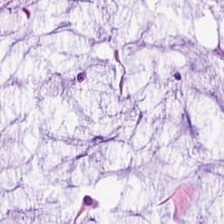FFPE tissue section · hematoxylin and eosin.
Predominantly mucus.
